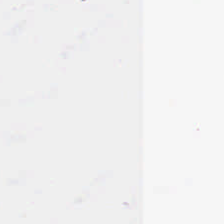Brightfield; H&E-stained tissue section. Empty field — background (no tissue).
